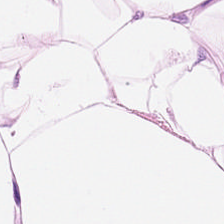Hematoxylin and eosin · 224×224 pixel tile · whole-slide-image patch. Predominantly adipose tissue.
